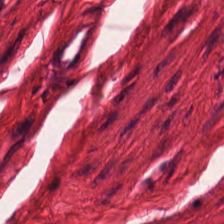H&E stain; 20× equivalent magnification; 224×224 px patch.
This patch shows muscularis.
